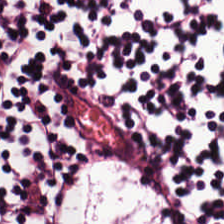Finding — lymphocytic infiltrate.
